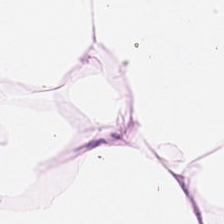WSI patch. FFPE. H&E-stained tissue section — The tissue type is fat tissue.
